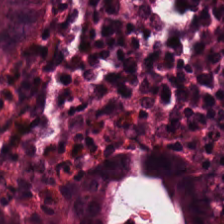H&E stain. Q: Identify the tissue.
A: This is normal colon mucosa.
